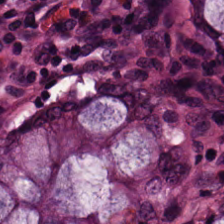0.5 µm/px · hematoxylin-and-eosin stained section.
Impression — normal colonic mucosa.
